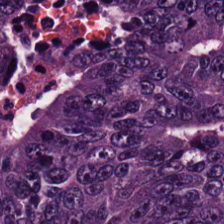The tissue is adenocarcinoma.
